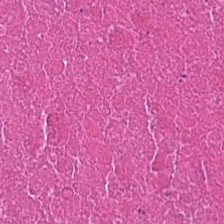Stain: H&E stain.
Predominant tissue: cellular debris.
